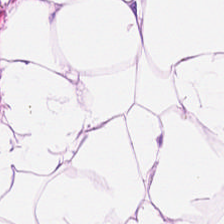The tissue here is adipocytes.
